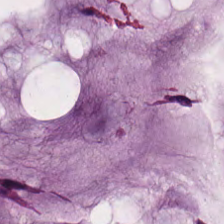Stain: hematoxylin-and-eosin stained section.
Predominant tissue: mucin.
